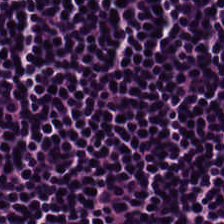Hematoxylin and eosin — Q: What is the predominant tissue type?
A: The field shows lymphocytes.
